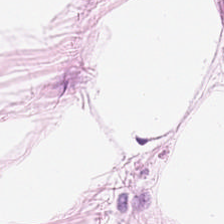Classification: adipocytes.
